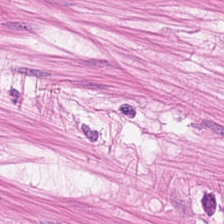Tissue type = smooth muscle.
